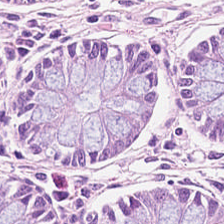Hematoxylin and eosin. This patch shows non-neoplastic colon mucosa.
